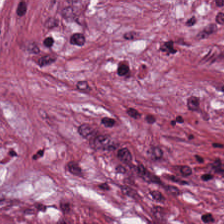Stain: H&E stain.
Acquisition: brightfield.
Tile size: 224×224 px tile.
Tissue class: desmoplastic stroma.
